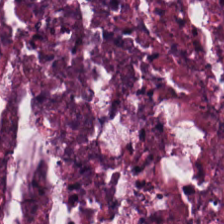Hematoxylin-and-eosin stained section; brightfield microscopy; FFPE. Predominantly debris.
